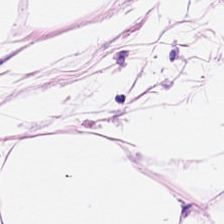Stain: H&E.
Tissue: adipocytes.
